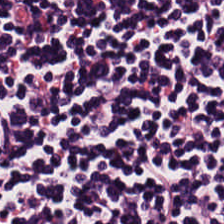20× equivalent magnification. H&E-stained tissue section. FFPE. Classification — lymphocytes.
